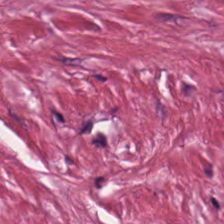FFPE tissue section. Brightfield microscopy. H&E stain. Finding — tumor-associated stroma.
